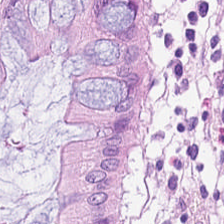Stain: hematoxylin and eosin.
Classification: normal colon mucosa.
